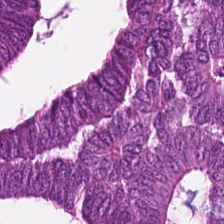H&E. 224×224 px tile.
Q: Identify the tissue.
A: It is malignant epithelium.
